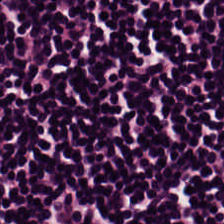H&E-stained tissue section — {"tissue_type": "lymphocyte aggregate"}
